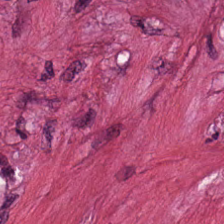Hematoxylin and eosin. Whole-slide-image patch. 224×224 px patch — {"tissue_type": "cancer-associated stroma"}
